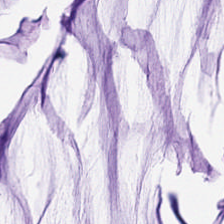H&E patch showing extracellular mucin.
